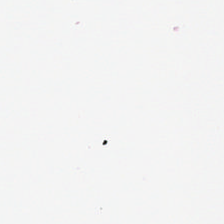Hematoxylin-and-eosin stained section · FFPE tissue section — Finding — background (no tissue).
